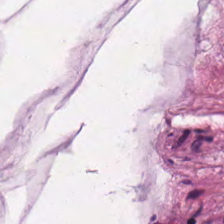Hematoxylin-and-eosin stained section. Showing mucin.
